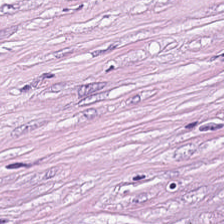H&E patch showing tumor-associated stroma.
